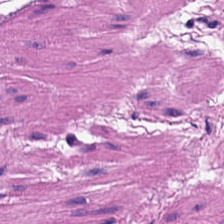Hematoxylin-and-eosin stained section · whole-slide-image patch.
Predominant tissue — muscularis.
